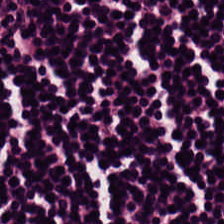Hematoxylin-and-eosin section: lymphocytes.
